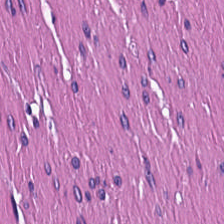Hematoxylin-and-eosin stained section. Tissue — smooth-muscle tissue.
